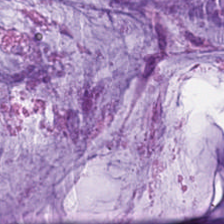Tissue = mucus.
